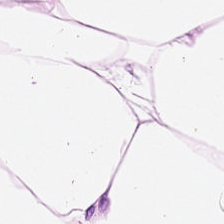Histology — adipocytes.
